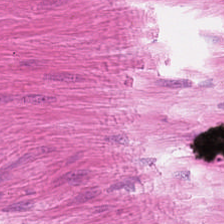Hematoxylin-and-eosin stained section. This field is muscularis.
